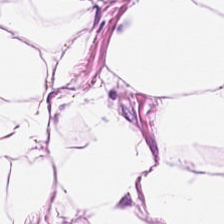H&E — fat tissue.
